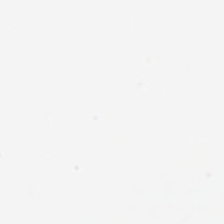Hematoxylin and eosin.
Q: What does this patch show?
A: This is empty background.
